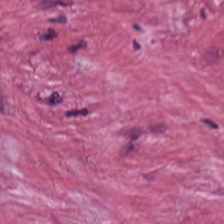Impression → tumor-associated stroma.
